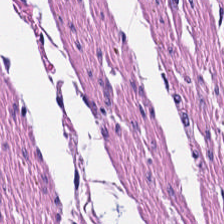224×224 pixel tile · hematoxylin-and-eosin stained section — The tissue here is muscularis.
